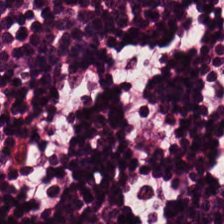This field is lymphocytes.
